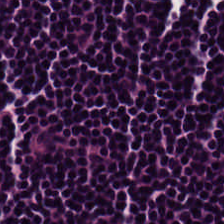Whole-slide-image patch · formalin-fixed paraffin-embedded section · hematoxylin and eosin.
Q: What is the predominant tissue type?
A: The field shows lymphocyte aggregate.
